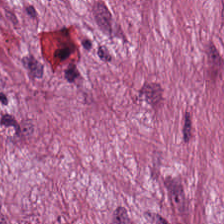Hematoxylin and eosin. The predominant tissue is tumor-associated stroma.
